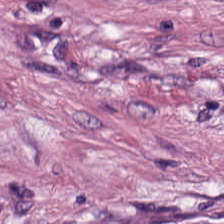H&E stain.
Predominantly cancer-associated stroma.
